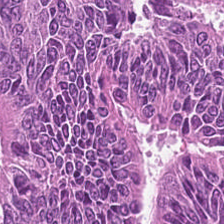Stain: H&E.
Classification: malignant epithelium.
